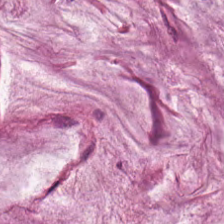Hematoxylin-and-eosin stained section.
This field is mucin.
